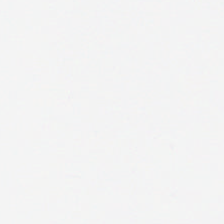Hematoxylin and eosin. 0.5 µm per pixel. FFPE — Q: What is shown here?
A: The field shows background.
